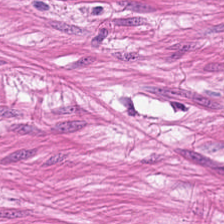H&E-stained tissue section. FFPE tissue section — Showing smooth muscle.
